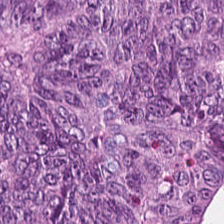Brightfield microscopy; hematoxylin-and-eosin stained section.
Histology → malignant epithelium.
